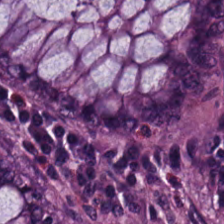The predominant tissue is normal colonic mucosa.
